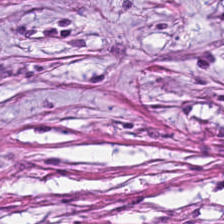H&E — Tissue class — tumor-associated stroma.
